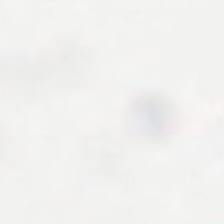Content — no tissue.
